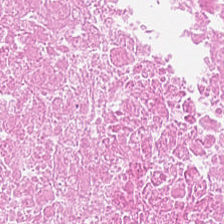H&E stain.
Cellular debris.
